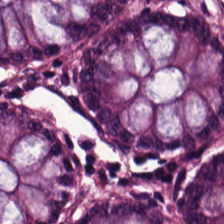FFPE. 224×224 px patch. H&E. Histology → benign colonic mucosa.
